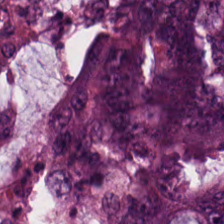Q: What is shown in this field?
A: The field shows tumor epithelium.
